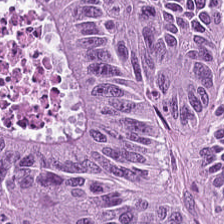H&E. Tumor epithelium.
